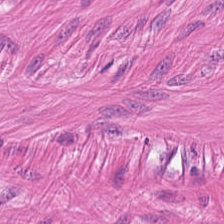Q: What is shown here?
A: This is muscularis.
